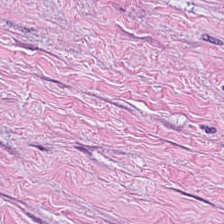Tumor-associated stroma.
